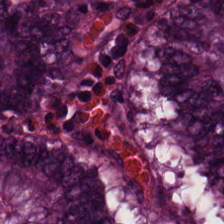Classification — benign colonic mucosa.
